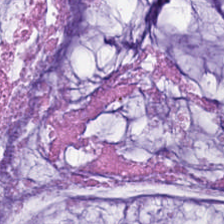FFPE tissue section; H&E stain. Tissue class — mucin.
